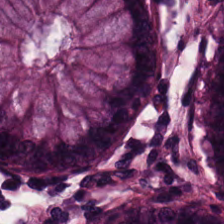Hematoxylin-and-eosin stained section. Tissue type — normal colon mucosa.
